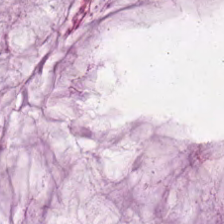Hematoxylin-and-eosin stained section · 224×224 px tile.
Q: What is shown in this field?
A: This is mucus.
